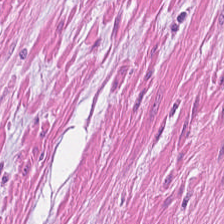Whole-slide-image patch. H&E — Tissue — smooth-muscle tissue.
